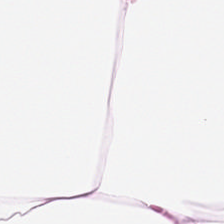H&E stain. Showing adipose tissue.
